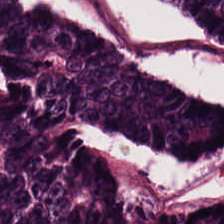Hematoxylin-and-eosin stained section. Showing malignant epithelium.
